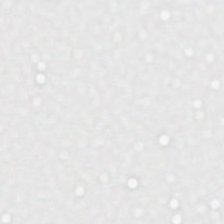H&E.
{"content": "background"}
